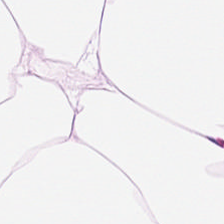H&E stain. Formalin-fixed paraffin-embedded section — Q: What tissue is shown?
A: The field shows adipocytes.
